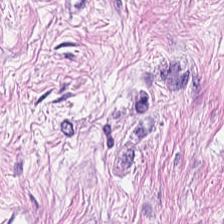Tumor stroma.
